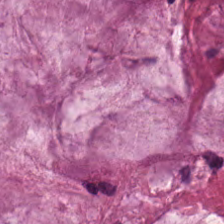H&E patch showing extracellular mucin.
